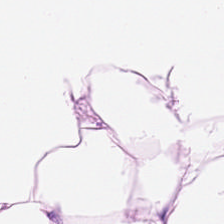H&E. 20× equivalent magnification. FFPE tissue section. Tissue type: adipose tissue.
